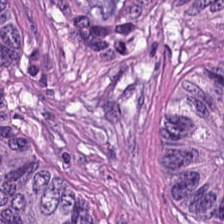224×224 pixel tile; hematoxylin and eosin — Tissue = malignant epithelium.
